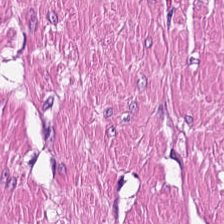Impression → muscularis.
